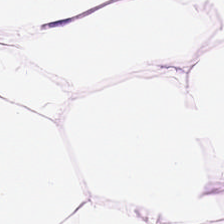H&E stain — Showing adipose tissue.
